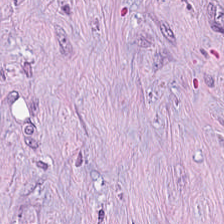Brightfield microscopy; hematoxylin and eosin — Impression — tumor stroma.
